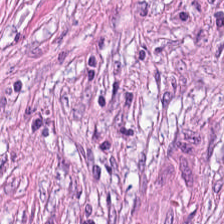FFPE; H&E stain; 20× equivalent magnification — This patch shows tumor-associated stroma.
